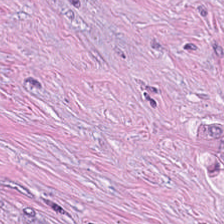H&E-stained tissue section — The predominant tissue is tumor-associated stroma.
